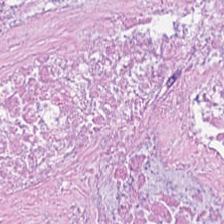H&E — Q: What does this patch show?
A: Cellular debris.
